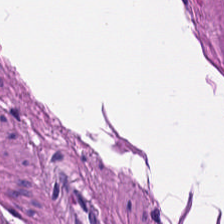H&E stain.
{"tissue_type": "muscularis"}
